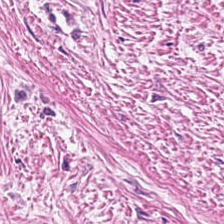Finding — tumor-associated stroma.
